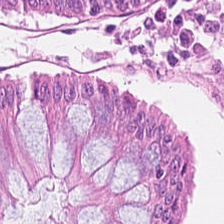Hematoxylin-and-eosin stained section — Benign colonic mucosa.
